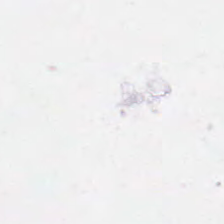Field content = no tissue.
